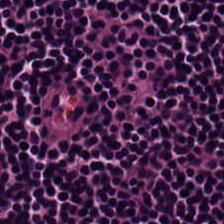Hematoxylin-and-eosin stained section · 224×224 pixel tile · whole-slide-image patch. Predominantly lymphoid infiltrate.
